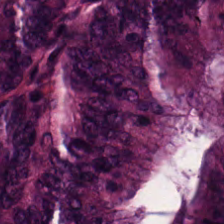H&E-stained tissue section. This patch shows colorectal adenocarcinoma epithelium.
